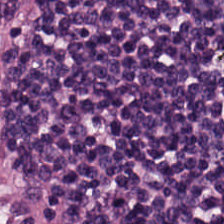Lymphoid infiltrate.
